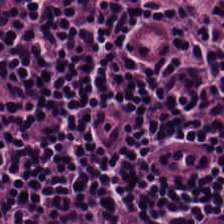H&E-stained tissue section. Predominantly lymphoid infiltrate.
